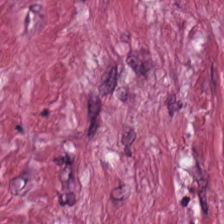Hematoxylin-and-eosin stained section — The predominant tissue is tumor-associated stroma.
